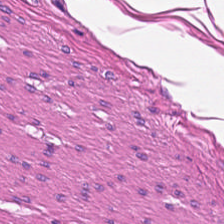H&E stain — Tissue type — smooth-muscle tissue.
